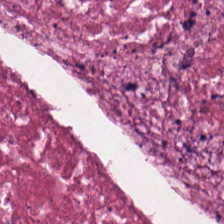The tissue is necrotic debris.
